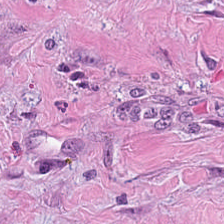H&E stain.
Tissue — cancer-associated stroma.
